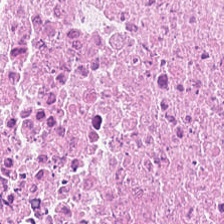{"tissue_type": "cellular debris"}
